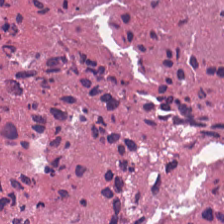Tissue type: debris.
